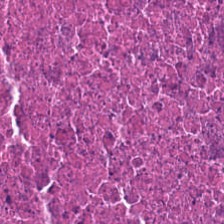Predominant tissue = cellular debris.
